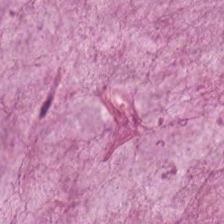H&E stain.
Q: What tissue type is shown here?
A: Mucin.
